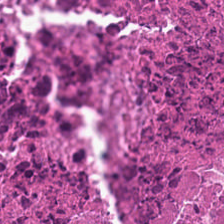Hematoxylin and eosin · FFPE tissue section.
Q: What is the predominant tissue type?
A: Debris.
